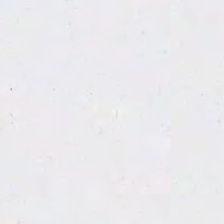Whole-slide-image patch · H&E stain. No tissue present; background only.
